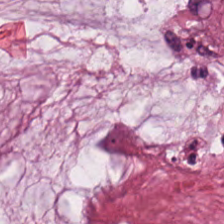Stain: hematoxylin-and-eosin stained section.
Tissue: mucin.
